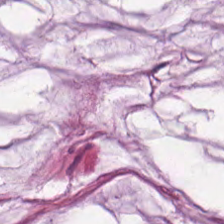224×224 px patch · H&E. Q: What tissue is shown?
A: Mucus.
